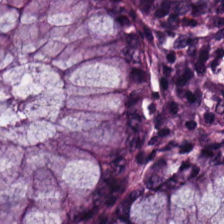WSI patch. Hematoxylin and eosin. 224×224 px tile. The predominant tissue is normal colonic mucosa.
